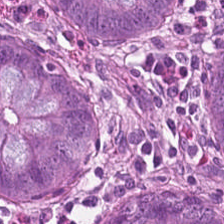Stain: hematoxylin-and-eosin stained section.
Tissue class: benign colonic mucosa.
